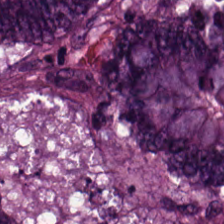H&E — The tissue type is malignant epithelium.
